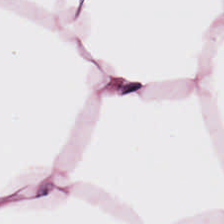Hematoxylin and eosin. WSI patch.
Histology → adipose.
